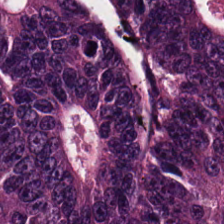Q: What tissue is shown?
A: The field shows tumor epithelium.
